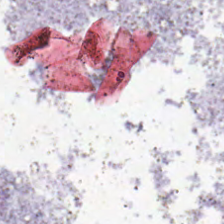Content — no tissue.
